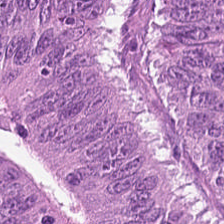H&E; FFPE tissue section.
This patch shows malignant epithelium.
